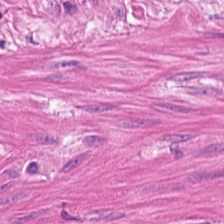Hematoxylin-and-eosin stained section. {"tissue_type": "smooth-muscle tissue"}
